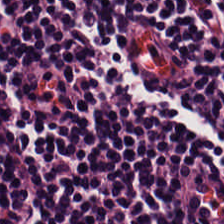H&E — The predominant tissue is lymphocyte aggregate.
